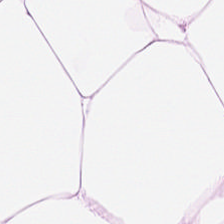Hematoxylin and eosin; 0.5 µm/px — Classification = adipose tissue.
